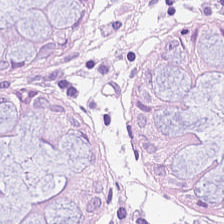Brightfield · H&E-stained tissue section.
Q: Classify this patch.
A: The field shows non-neoplastic colon mucosa.
